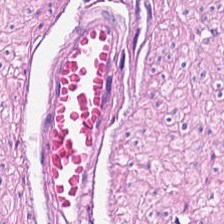Tissue = smooth muscle.
